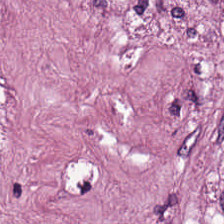H&E stain. Finding — cancer-associated stroma.
